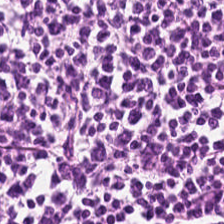Tissue type — lymphocyte aggregate.
